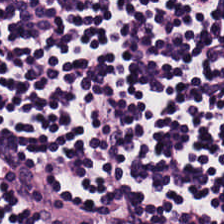H&E-stained tissue section. FFPE tissue section.
Q: What tissue type is shown here?
A: This is lymphocytic infiltrate.
